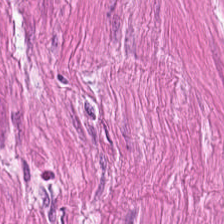H&E-stained tissue section · 0.5 µm/px · FFPE tissue section — Tissue: muscularis.
